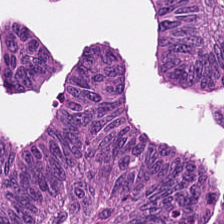H&E — adenocarcinoma.
